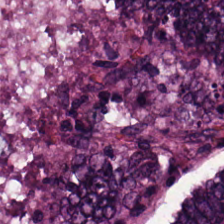H&E stain; 224×224 px patch — Classification — colorectal adenocarcinoma epithelium.
